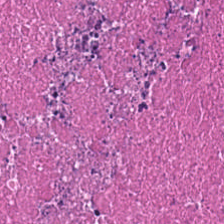H&E. Q: What type of tissue is this?
A: It is cellular debris.
